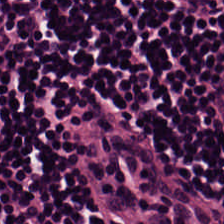H&E — The predominant tissue is lymphocytes.
